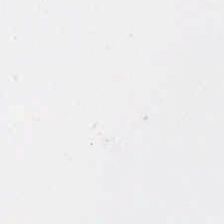Stain: hematoxylin and eosin.
Classification: no tissue.
